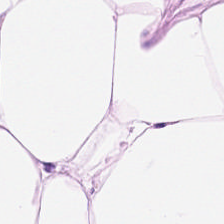Stain: H&E stain.
Tissue class: fat tissue.
